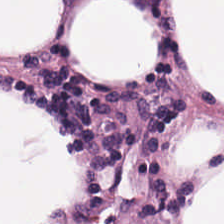224×224 pixel tile. H&E-stained tissue section — Tissue class: adipose tissue.
